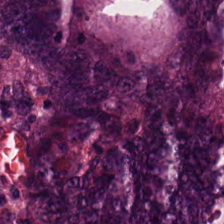0.5 µm per pixel; H&E stain; FFPE.
Q: What is shown in this field?
A: The field shows colorectal adenocarcinoma epithelium.
